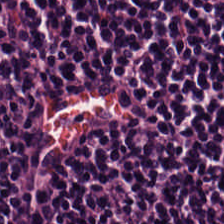Classification = lymphoid infiltrate.
